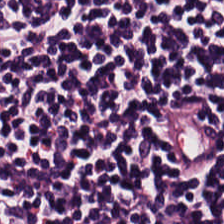Tissue type = lymphocytic infiltrate.
